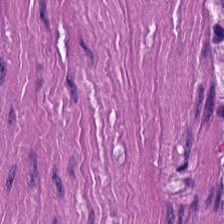Brightfield · 0.5 µm/px · H&E. Muscularis.
